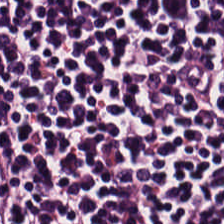H&E — {"tissue_type": "lymphocytic infiltrate"}
